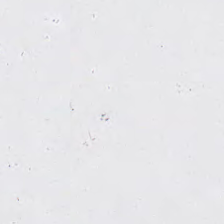Empty field — background (no tissue).
